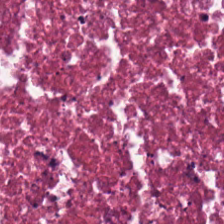Showing necrotic debris.
